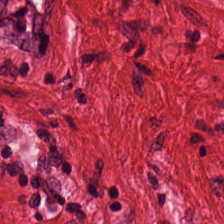Stain: hematoxylin-and-eosin stained section.
Predominant tissue: muscularis.
